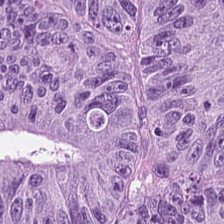0.5 µm/px. Hematoxylin and eosin — Histology — malignant epithelium.
